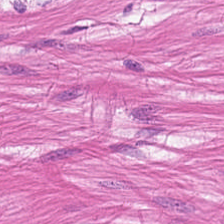0.5 µm/px; hematoxylin-and-eosin stained section — Tissue class = smooth-muscle tissue.
